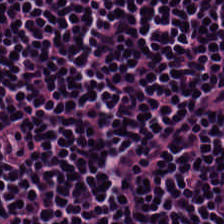The tissue here is lymphoid infiltrate.
